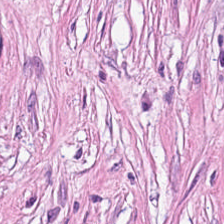Tissue — tumor-associated stroma.
